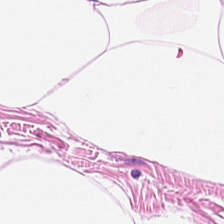H&E-stained tissue section; brightfield; 0.5 µm per pixel.
The tissue is adipocytes.
